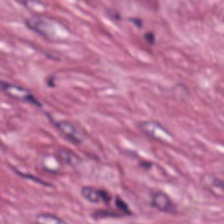Tissue — desmoplastic stroma.
